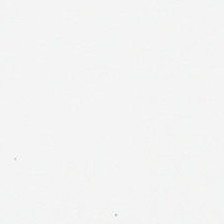No tissue present; background only.
